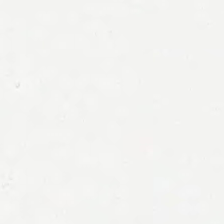Stain: H&E.
Field content: background (no tissue).
